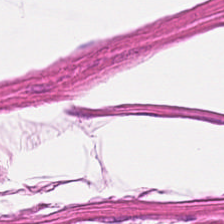H&E.
Q: Classify this patch.
A: Smooth muscle.
